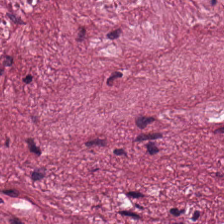Impression → tumor-associated stroma.
